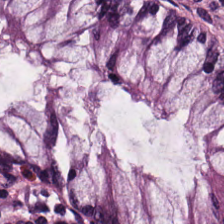FFPE tissue section. Whole-slide-image patch. Hematoxylin-and-eosin stained section. Classification = normal colon mucosa.
